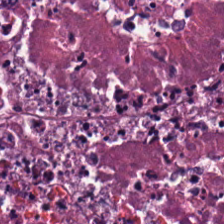Stain: hematoxylin-and-eosin stained section.
Resolution: 0.5 µm per pixel.
Tile size: 224×224 px tile.
Tissue type: necrotic debris.
